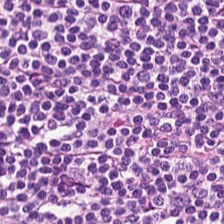H&E-stained tissue section; 0.5 µm per pixel; 224×224 px patch.
The predominant tissue is lymphocytic infiltrate.
